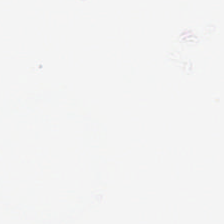This patch shows empty background.
